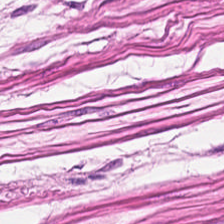Hematoxylin-and-eosin stained section — {"tissue_type": "muscularis"}
